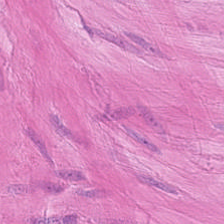WSI patch · hematoxylin and eosin. Q: What is the predominant tissue type?
A: Smooth-muscle tissue.
